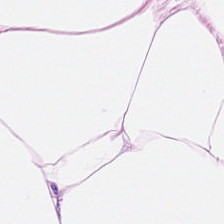H&E · brightfield. This field is adipocytes.
